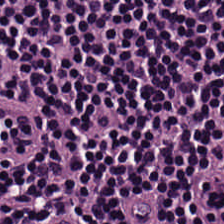H&E-stained tissue section showing lymphocyte aggregate.
